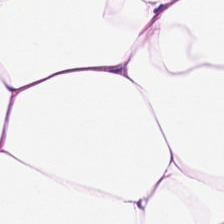Stain: H&E-stained tissue section.
Tile size: 224×224 px tile.
Tissue type: fat tissue.
